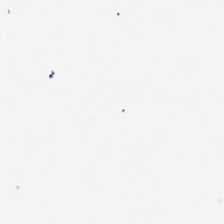Background — no tissue in this field.
